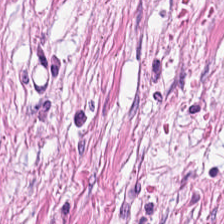Hematoxylin and eosin — Showing tumor-associated stroma.
